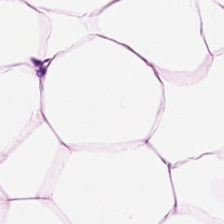H&E; FFPE.
Predominant tissue: adipose tissue.
